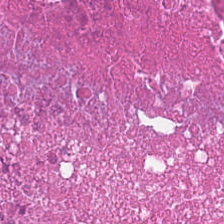H&E stain; whole-slide-image patch — Q: Classify this patch.
A: It is debris.
